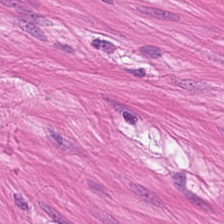H&E; brightfield.
The tissue here is smooth muscle.
